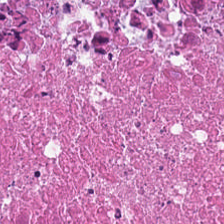Q: Identify the tissue.
A: It is debris.
